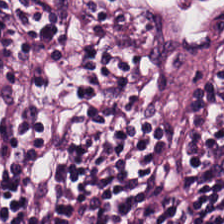Hematoxylin-and-eosin stained section. Brightfield.
Tissue class = lymphoid infiltrate.
